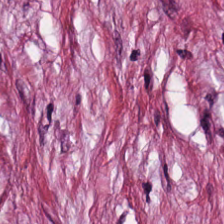Hematoxylin and eosin. 20× equivalent magnification. Finding → tumor stroma.
